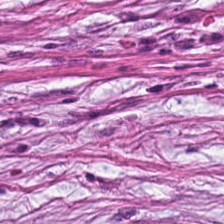Q: What is shown in this field?
A: This is tumor-associated stroma.
